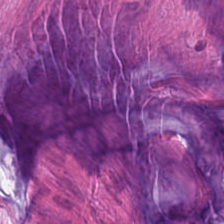0.5 microns per pixel; hematoxylin-and-eosin stained section.
Q: What does this patch show?
A: It is extracellular mucin.
